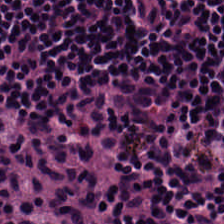Q: What tissue is shown?
A: The field shows lymphoid infiltrate.
